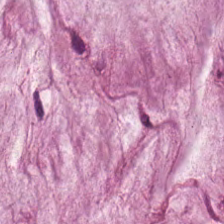Stain: hematoxylin and eosin.
Tissue class: extracellular mucin.
